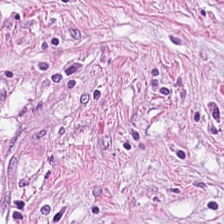H&E.
The tissue here is tumor stroma.
